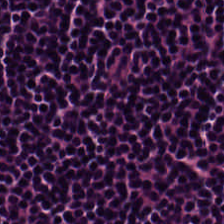H&E-stained tissue section. WSI patch. 0.5 µm per pixel. Q: What tissue is shown?
A: Lymphocyte aggregate.
